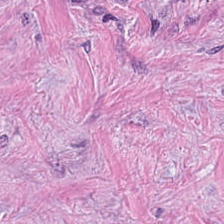Brightfield microscopy; H&E stain. Tissue — tumor stroma.
